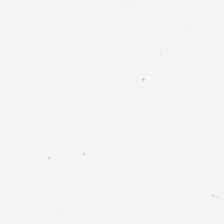Hematoxylin-and-eosin stained section; 224×224 pixel tile; whole-slide-image patch.
Background — no tissue in this field.
